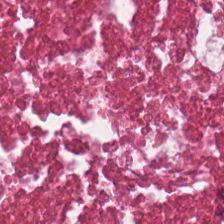H&E-stained tissue section. Formalin-fixed paraffin-embedded section.
This field is cellular debris.
